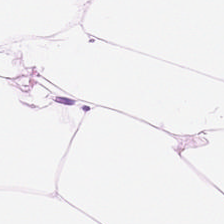Stain: hematoxylin-and-eosin stained section.
Acquisition: brightfield microscopy.
Predominant tissue: adipocytes.
